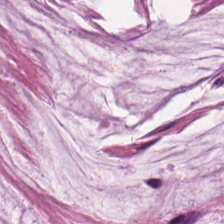0.5 µm per pixel; FFPE; hematoxylin and eosin.
The tissue type is mucus.
